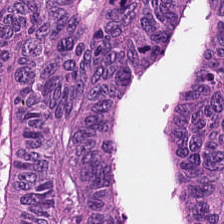Stain: hematoxylin-and-eosin stained section.
Classification: tumor epithelium.
